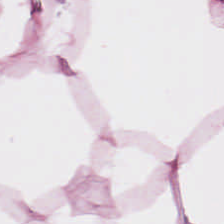Brightfield; H&E-stained tissue section — Tissue: adipocytes.
